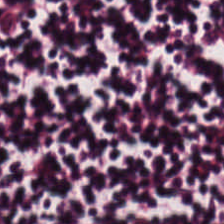Impression — lymphocyte aggregate.
